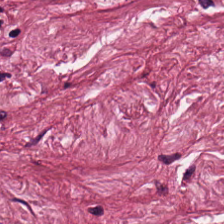WSI patch; H&E; formalin-fixed paraffin-embedded section — This field is tumor-associated stroma.
